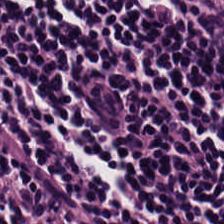224×224 px patch. H&E stain. The predominant tissue is lymphocyte aggregate.
